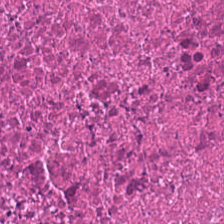Hematoxylin and eosin.
This patch shows debris.
